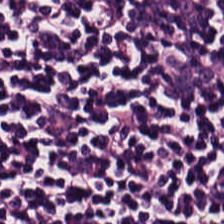Predominantly lymphocytes.
